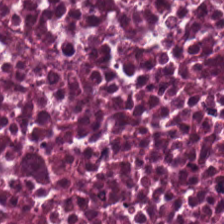Classification = necrotic debris.
